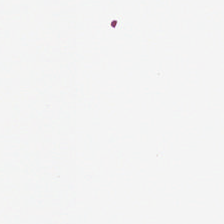WSI patch. H&E stain. 224×224 pixel tile. Classification — no tissue.
